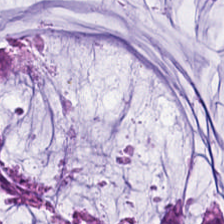H&E-stained tissue section. Q: Classify this patch.
A: The field shows mucus.
